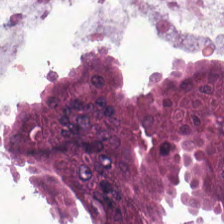Hematoxylin-and-eosin stained section; 224×224 px tile; FFPE tissue section — Q: What type of tissue is this?
A: The field shows extracellular mucin.
